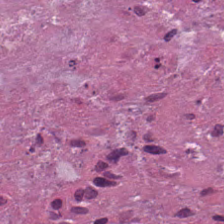Brightfield; H&E stain.
Q: Classify this patch.
A: It is debris.
